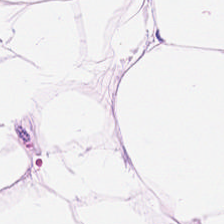H&E. {"tissue_type": "adipocytes"}
